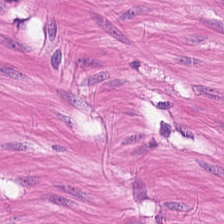This patch shows smooth muscle.
